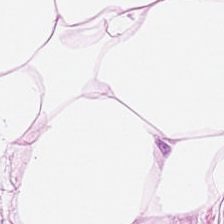224×224 pixel tile. FFPE tissue section. Hematoxylin-and-eosin stained section.
Classification — adipocytes.
